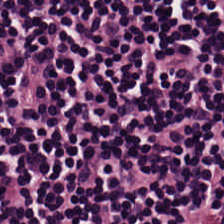Hematoxylin and eosin. {"tissue_type": "lymphoid infiltrate"}
